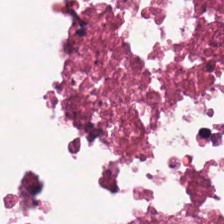Hematoxylin and eosin.
Impression — cellular debris.
